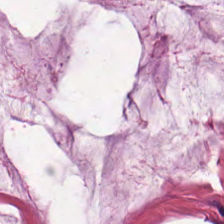224×224 px patch · H&E · FFPE — Tissue type — extracellular mucin.
